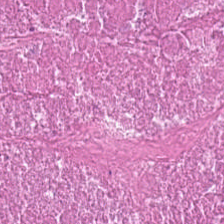224×224 px patch. H&E-stained tissue section. FFPE tissue section. Debris.
